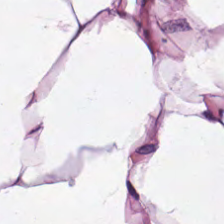Stain: H&E stain.
Tissue: adipocytes.
